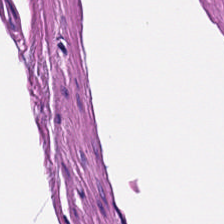Hematoxylin and eosin; FFPE.
{"tissue_type": "smooth muscle"}
